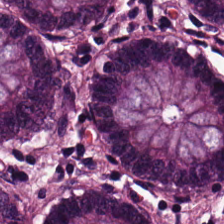{"tissue_type": "normal colon mucosa"}
